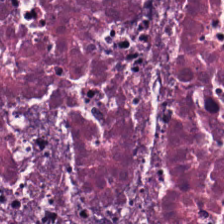H&E-stained tissue section. Q: What is shown here?
A: Necrotic debris.
